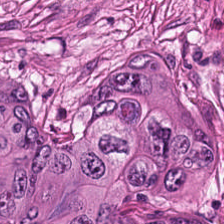224×224 px tile · H&E-stained tissue section — Q: Identify the tissue.
A: Malignant epithelium.
